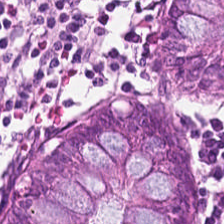0.5 µm/px · brightfield microscopy · hematoxylin-and-eosin stained section.
Tissue = benign colonic mucosa.
